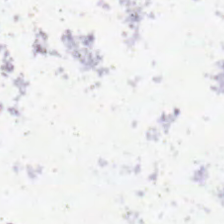Stain: hematoxylin-and-eosin stained section.
Acquisition: brightfield.
Classification: empty background.
